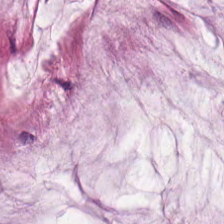WSI patch · hematoxylin and eosin. Predominantly extracellular mucin.
